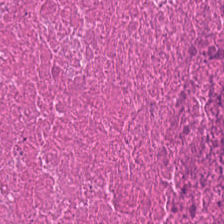Tissue class — cellular debris.
